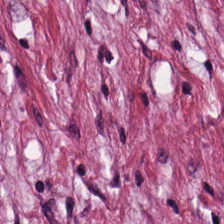H&E stain. This field is cancer-associated stroma.
